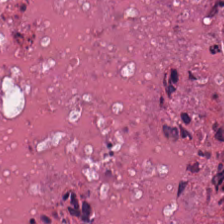H&E-stained tissue section — Impression → necrotic debris.
